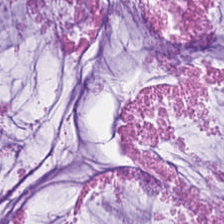H&E — extracellular mucin.
